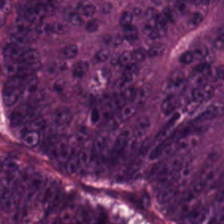Q: What tissue is shown?
A: This is colorectal adenocarcinoma epithelium.
